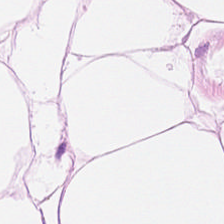This field is fat tissue.
